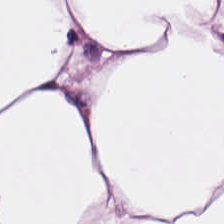Hematoxylin and eosin — Predominantly fat tissue.
